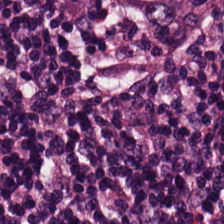Brightfield microscopy · H&E · 0.5 microns per pixel — Predominantly lymphocyte aggregate.
